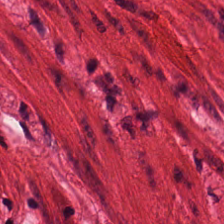H&E · FFPE tissue section. Q: What is shown in this field?
A: It is smooth-muscle tissue.
